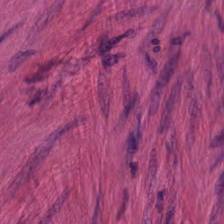Hematoxylin-and-eosin stained section; formalin-fixed paraffin-embedded section. This patch shows muscularis.
